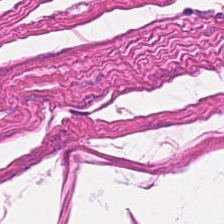H&E stain. Tissue class: muscularis.
